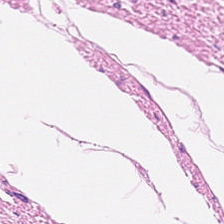H&E-stained tissue section.
Finding → muscularis.
